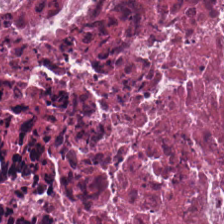Hematoxylin-and-eosin stained section.
Tissue: cellular debris.
